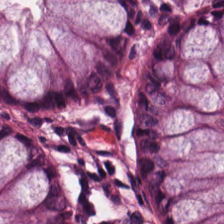0.5 µm/px. H&E-stained tissue section. Brightfield. Showing normal colon mucosa.
